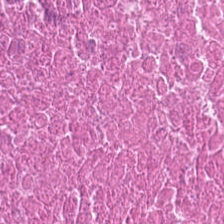H&E — Cellular debris.
